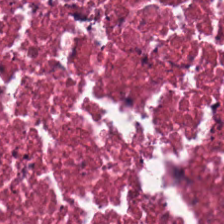H&E. 224×224 pixel tile. FFPE tissue section — Tissue type: cellular debris.
